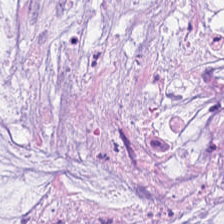Hematoxylin-and-eosin stained section.
The tissue here is extracellular mucin.
